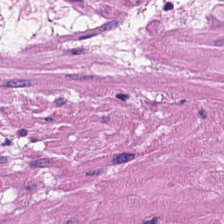H&E.
Tissue — smooth muscle.
